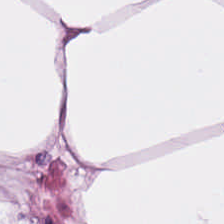This patch shows fat tissue.
